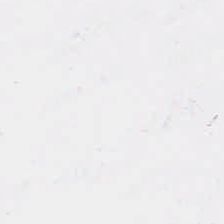Hematoxylin and eosin — Impression — background.
